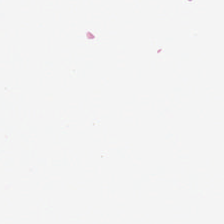Hematoxylin-and-eosin stained section — This field is background (no tissue).
